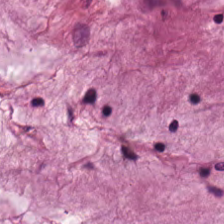Hematoxylin-and-eosin stained section · brightfield · 20× equivalent magnification — Mucin.
